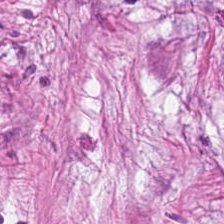Hematoxylin-and-eosin stained section.
The tissue is desmoplastic stroma.
